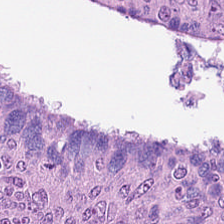0.5 µm/px · hematoxylin and eosin. The predominant tissue is tumor epithelium.
